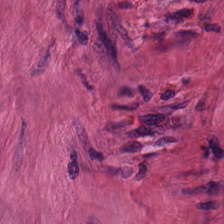H&E stain. Q: What does this patch show?
A: Smooth-muscle tissue.
